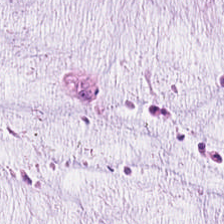H&E stain · brightfield · formalin-fixed paraffin-embedded section — Q: Classify this patch.
A: This is mucin.
